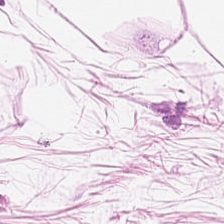224×224 px patch. H&E stain. Q: What is shown here?
A: Adipocytes.
